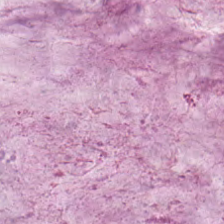H&E-stained tissue section — The tissue here is mucin.
